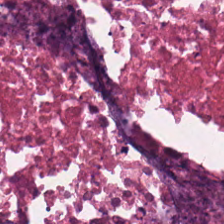H&E patch showing debris.
